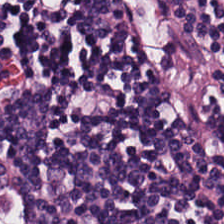Hematoxylin-and-eosin stained section — Tissue type = lymphocytic infiltrate.
